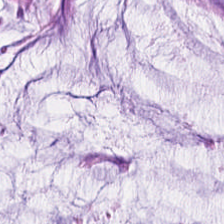WSI patch · H&E-stained tissue section — Tissue = mucus.
